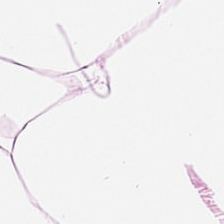Finding → adipose tissue.
